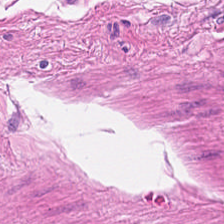This field is muscularis.
